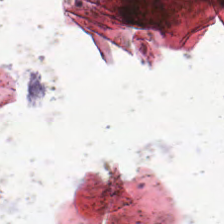224×224 px tile. H&E-stained tissue section.
Q: Classify this patch.
A: This is empty background.
